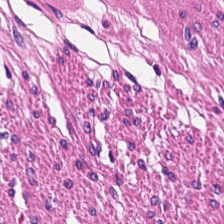Q: What tissue is shown?
A: It is smooth muscle.
